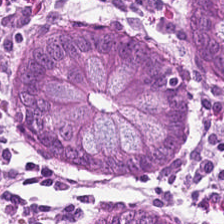H&E. FFPE tissue section. Brightfield microscopy.
Predominantly normal colon mucosa.
